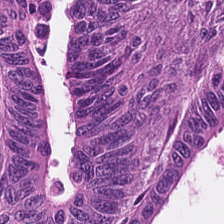224×224 pixel tile; hematoxylin-and-eosin stained section — This patch shows colorectal adenocarcinoma.
